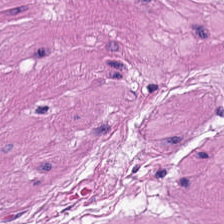Stain: hematoxylin-and-eosin stained section.
Tile size: 224×224 px patch.
Tissue: muscularis.
